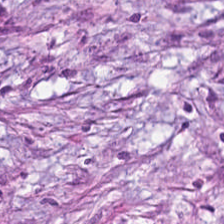H&E-stained tissue section — Finding → tumor stroma.
